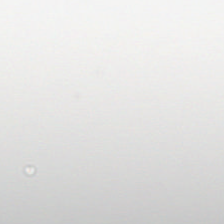H&E stain · 0.5 µm per pixel.
No tissue present; background only.
